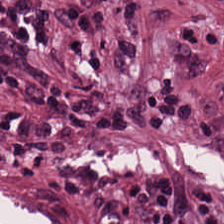20× equivalent magnification; hematoxylin and eosin; whole-slide-image patch — The predominant tissue is tumor stroma.
